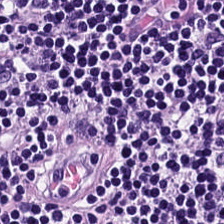Hematoxylin-and-eosin section: lymphocytes.
